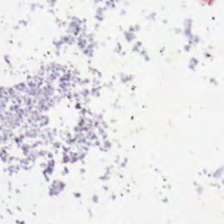Stain: H&E.
Preparation: FFPE.
Tile size: 224×224 px tile.
Classification: background.
